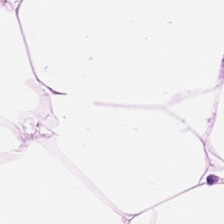Hematoxylin-and-eosin stained section. Impression → adipocytes.
